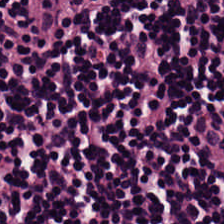H&E-stained tissue section — Lymphocytic infiltrate.
